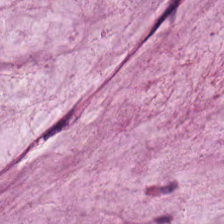The tissue class is mucin.
